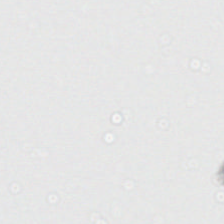Stain: H&E.
Content: background (no tissue).
